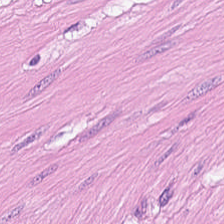Brightfield. Hematoxylin-and-eosin stained section — Q: What is shown in this field?
A: The field shows smooth muscle.
